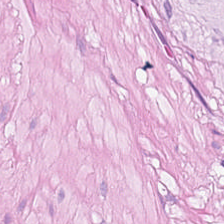H&E stain — The predominant tissue is muscularis.
